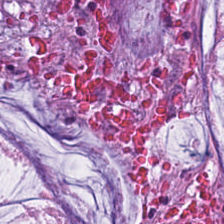224×224 px patch; hematoxylin and eosin.
Finding — extracellular mucin.
